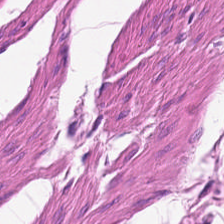Hematoxylin-and-eosin stained section. Tissue class: smooth-muscle tissue.
